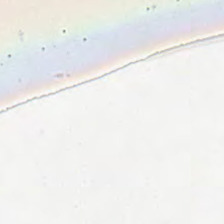Hematoxylin and eosin. Formalin-fixed paraffin-embedded section. 224×224 pixel tile. This field is background (no tissue).
